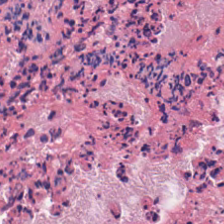H&E — debris.
